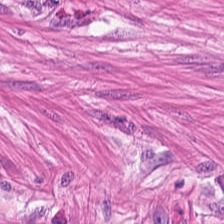224×224 px tile. Hematoxylin and eosin.
Impression — smooth muscle.
